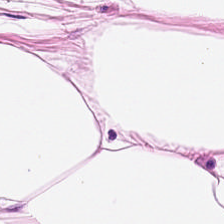Stain: hematoxylin and eosin.
Predominant tissue: adipocytes.
